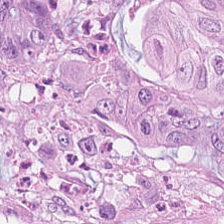Predominant tissue: colorectal adenocarcinoma epithelium.
